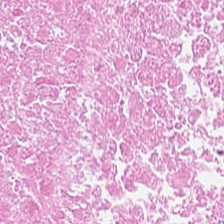0.5 microns per pixel. H&E. 224×224 px tile — This patch shows necrotic debris.
